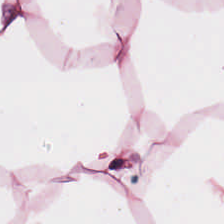H&E stain.
Impression → adipose.
